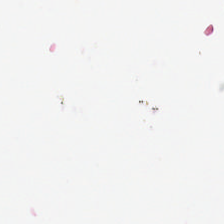Stain: hematoxylin-and-eosin stained section.
Preparation: formalin-fixed paraffin-embedded section.
Resolution: 0.5 µm per pixel.
Content: background (no tissue).
